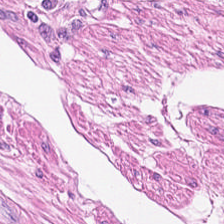Hematoxylin and eosin.
Finding — smooth muscle.
